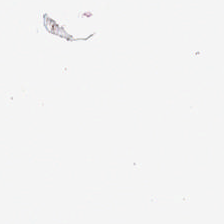H&E; FFPE — Q: Classify this patch.
A: It is no tissue.
